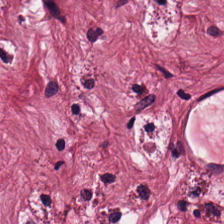The predominant tissue is tumor-associated stroma.
